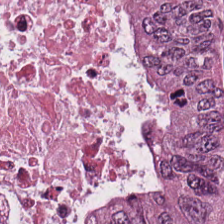Showing adenocarcinoma.
